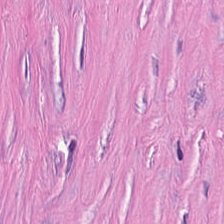The tissue is tumor-associated stroma.
